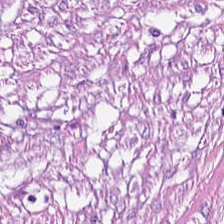Formalin-fixed paraffin-embedded section · brightfield · H&E stain.
The tissue here is tumor stroma.
